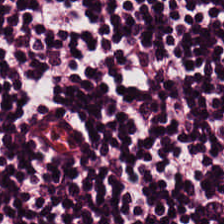Q: What tissue is shown?
A: The field shows lymphocytes.
